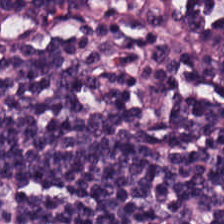Hematoxylin-and-eosin stained section; FFPE tissue section.
The predominant tissue is lymphocytes.
